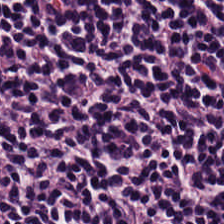FFPE tissue section; hematoxylin and eosin. Finding → lymphocytic infiltrate.
